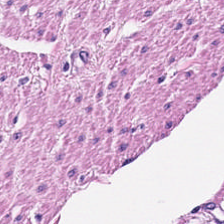Hematoxylin and eosin. Tissue type — smooth muscle.
